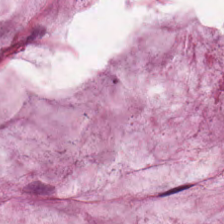The tissue is mucin.
